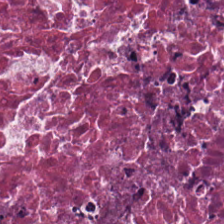Hematoxylin and eosin — This field is necrotic debris.
